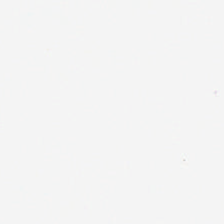{"content": "background (no tissue)"}
